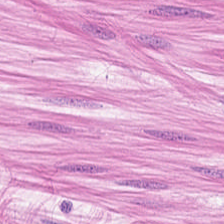H&E-stained tissue section. Tissue class: smooth-muscle tissue.
